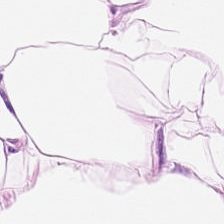Hematoxylin and eosin — The predominant tissue is adipocytes.
